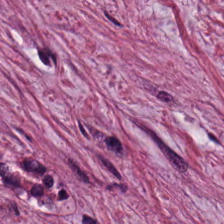H&E.
Tissue class — tumor-associated stroma.
